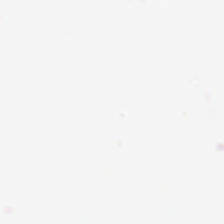Stain: H&E-stained tissue section.
Preparation: formalin-fixed paraffin-embedded section.
Classification: background (no tissue).
